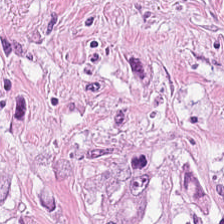Predominantly tumor stroma.
